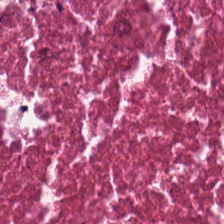Brightfield microscopy. Hematoxylin-and-eosin stained section. Q: Classify this patch.
A: It is cellular debris.
